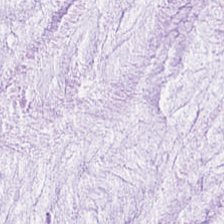Q: What tissue is shown?
A: Mucus.
